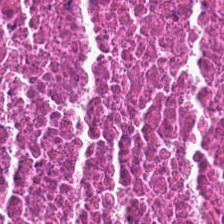Stain: H&E-stained tissue section.
Tissue class: cellular debris.
